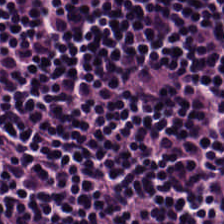0.5 µm/px. Brightfield. H&E.
Predominantly lymphocyte aggregate.
